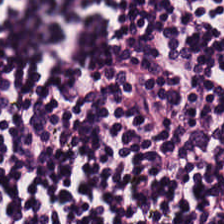Stain: hematoxylin-and-eosin stained section.
Acquisition: WSI patch.
Tissue class: lymphocytic infiltrate.
